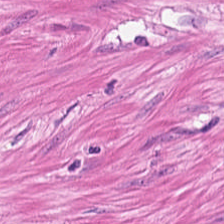Predominant tissue: smooth-muscle tissue.
